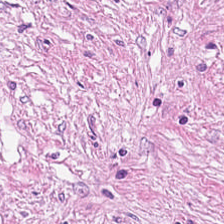Hematoxylin-and-eosin stained section. Predominant tissue = tumor-associated stroma.
